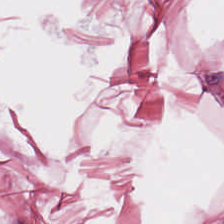H&E. This patch shows adipose tissue.
